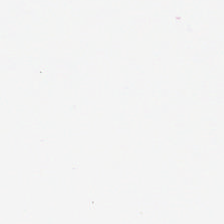Field content = background (no tissue).
